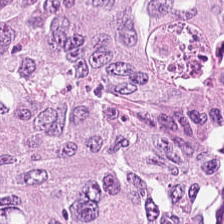Hematoxylin-and-eosin stained section. FFPE tissue section. 0.5 microns per pixel.
The tissue is colorectal adenocarcinoma epithelium.
